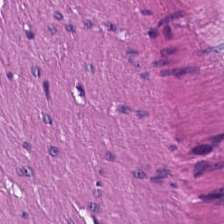H&E.
Predominant tissue: smooth muscle.
